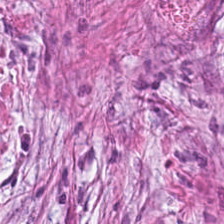Hematoxylin-and-eosin section: cancer-associated stroma.
